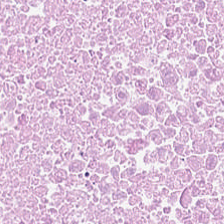Predominant tissue — cellular debris.
